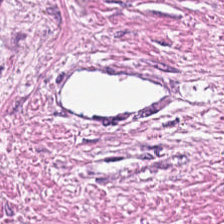Finding — tumor stroma.
